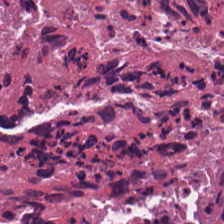H&E stain. Q: What does this patch show?
A: The field shows debris.
